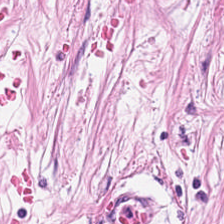H&E-stained section; the field shows desmoplastic stroma.
